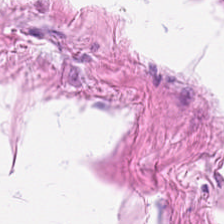H&E-stained tissue section. 0.5 µm per pixel — Classification — muscularis.
